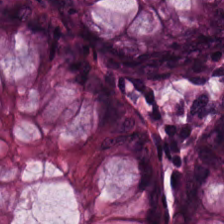20× equivalent magnification · H&E-stained tissue section. Predominantly normal colon mucosa.
